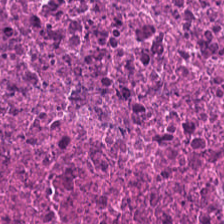Tissue type = necrotic debris.
